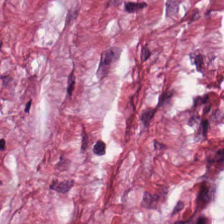Finding — desmoplastic stroma.
